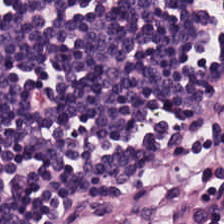H&E-stained tissue section.
Showing lymphocytic infiltrate.
